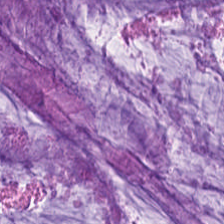Histology → mucin.
